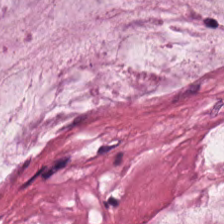H&E-stained tissue section. {"tissue_type": "extracellular mucin"}
